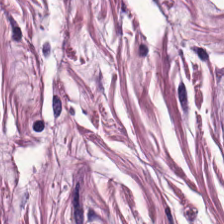H&E — This patch shows smooth muscle.
